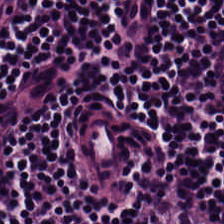Hematoxylin and eosin — This patch shows lymphocytic infiltrate.
